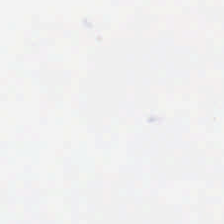No tissue present; background only.
